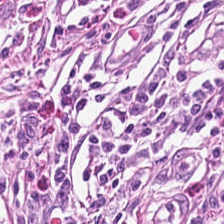H&E-stained tissue section — Tumor-associated stroma.
